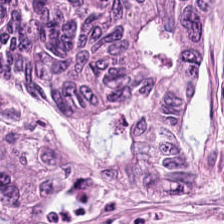224×224 px patch · hematoxylin and eosin.
This field is colorectal adenocarcinoma.
